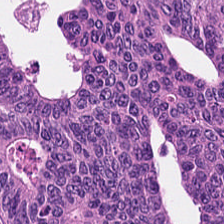H&E-stained tissue section — Tissue = colorectal adenocarcinoma.
